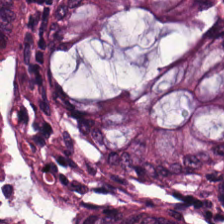224×224 px patch · brightfield · hematoxylin-and-eosin stained section. The tissue here is benign colonic mucosa.
